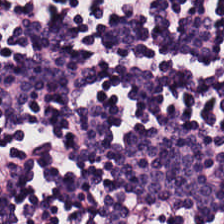H&E stain — The predominant tissue is lymphocytes.
